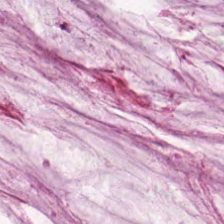Hematoxylin and eosin. Q: What is shown here?
A: Extracellular mucin.
